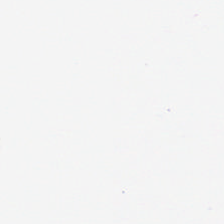H&E stain.
Empty field — background (no tissue).
